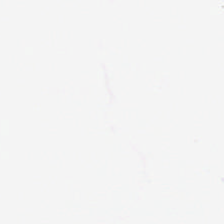Hematoxylin-and-eosin stained section. This field is background (no tissue).
